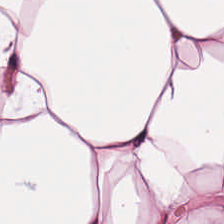Impression → adipocytes.
